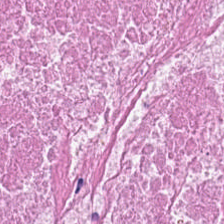H&E-stained tissue section · 224×224 px patch. Q: What is shown here?
A: The field shows cellular debris.
